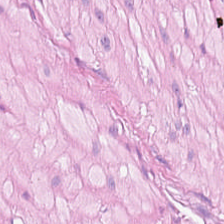Hematoxylin and eosin. FFPE tissue section — Q: What tissue is shown?
A: Smooth muscle.
